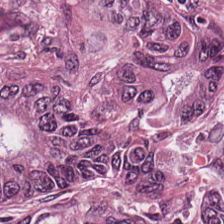H&E — Finding → malignant epithelium.
